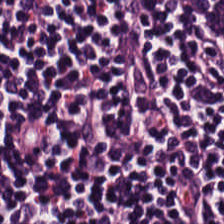224×224 pixel tile · WSI patch · H&E.
Finding → lymphoid infiltrate.
